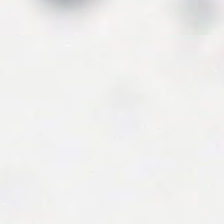FFPE tissue section · hematoxylin and eosin · 0.5 µm/px.
Q: What does this patch show?
A: It is background (no tissue).
